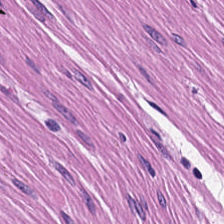224×224 px patch. H&E-stained tissue section. FFPE tissue section — Tissue: smooth muscle.
